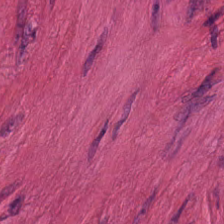Hematoxylin-and-eosin stained section. Brightfield microscopy. Impression — muscularis.
